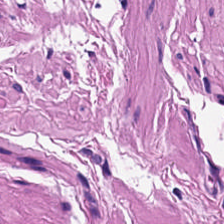0.5 µm per pixel; H&E-stained tissue section.
Histology — smooth-muscle tissue.
